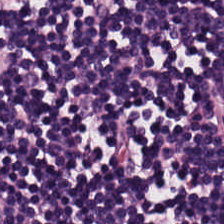Hematoxylin and eosin — The classification is lymphocytes.
